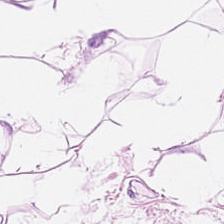Stain: H&E-stained tissue section.
Preparation: FFPE tissue section.
Tissue type: adipose tissue.
